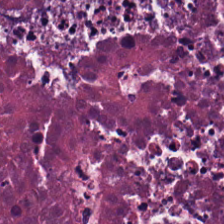224×224 px patch · FFPE · hematoxylin and eosin.
The tissue here is debris.
